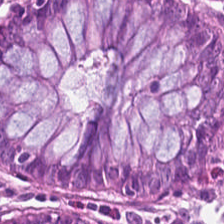Tissue — normal colon mucosa.
